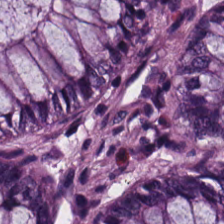H&E-stained tissue section. Tissue type — normal colon mucosa.
